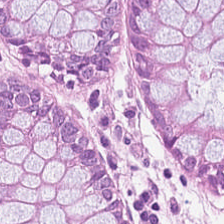Brightfield. FFPE tissue section. Hematoxylin and eosin.
The tissue here is normal colonic mucosa.
